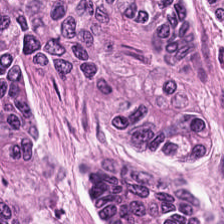Hematoxylin-and-eosin stained section. Q: What does this patch show?
A: It is colorectal adenocarcinoma.
